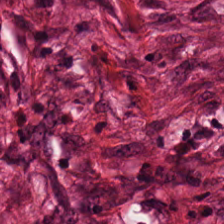H&E stain — Classification = desmoplastic stroma.
